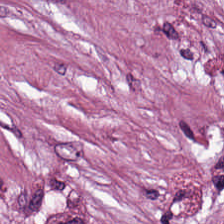Brightfield microscopy; H&E; 0.5 µm/px. Q: What is the predominant tissue type?
A: It is tumor-associated stroma.
